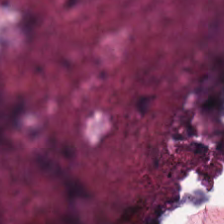Stain: hematoxylin-and-eosin stained section.
Classification: cellular debris.
